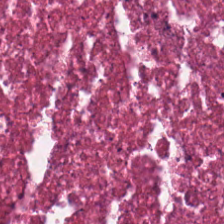Hematoxylin and eosin — This patch shows debris.
